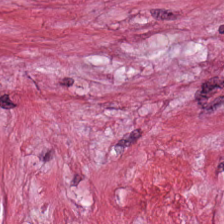Hematoxylin and eosin · FFPE. Predominant tissue = desmoplastic stroma.
